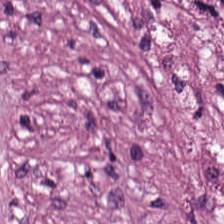Stain: H&E.
Preparation: formalin-fixed paraffin-embedded section.
Tissue type: tumor-associated stroma.
